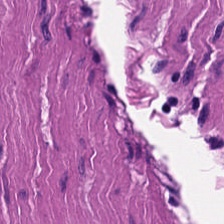H&E — Q: What is shown in this field?
A: The field shows muscularis.
